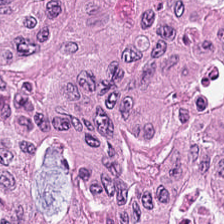Stain: hematoxylin and eosin.
Predominant tissue: colorectal adenocarcinoma epithelium.
